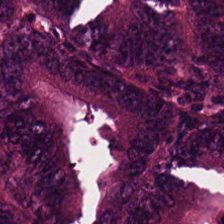H&E-stained tissue section showing adenocarcinoma.
